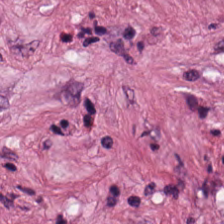Formalin-fixed paraffin-embedded section · hematoxylin and eosin — Finding — desmoplastic stroma.
